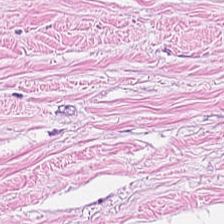The predominant tissue is tumor-associated stroma.
